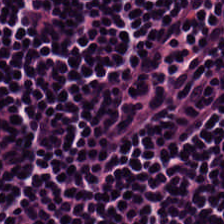Predominantly lymphocytes.
